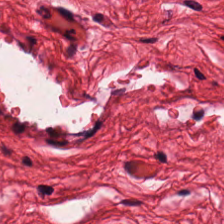224×224 px patch · hematoxylin-and-eosin stained section. {"tissue_type": "smooth-muscle tissue"}
